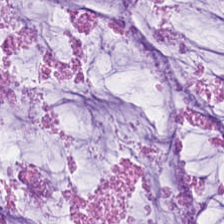Stain: H&E.
Tile size: 224×224 px patch.
Predominant tissue: mucus.
